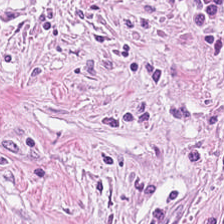H&E stain — Predominant tissue = cancer-associated stroma.
